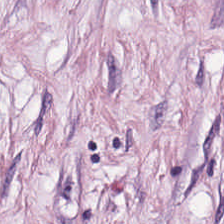Q: What is shown here?
A: This is cancer-associated stroma.
